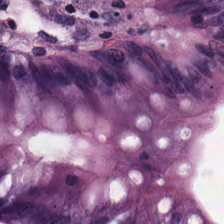Stain: H&E stain.
Classification: normal colonic mucosa.
